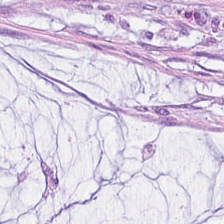Q: What is the predominant tissue type?
A: It is mucus.
